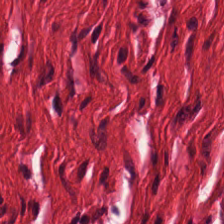FFPE; H&E — Tissue: smooth muscle.
